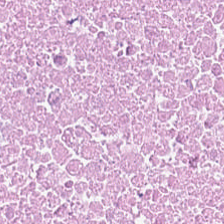Hematoxylin and eosin — Predominant tissue: necrotic debris.
